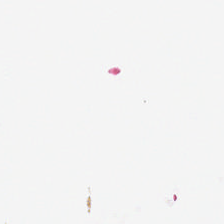Classification = background.
